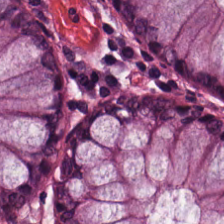H&E-stained tissue section.
The tissue here is normal colonic mucosa.
